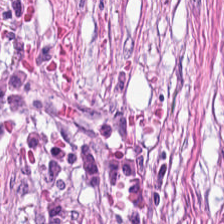Predominant tissue = tumor-associated stroma.
